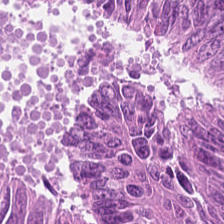H&E. Showing malignant epithelium.
